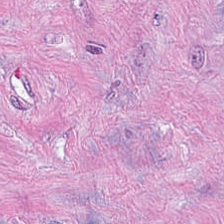H&E-stained tissue section.
Predominant tissue — desmoplastic stroma.
